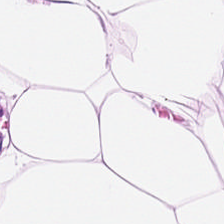H&E stain.
Impression — adipose.
